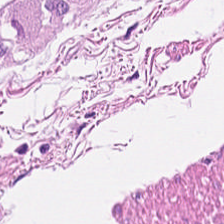H&E-stained tissue section. FFPE. 0.5 microns per pixel — Predominantly smooth muscle.
